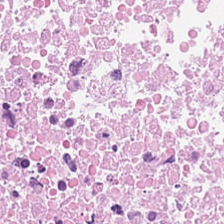FFPE tissue section · H&E stain.
Histology — necrotic debris.
